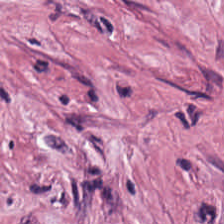Predominantly cancer-associated stroma.
